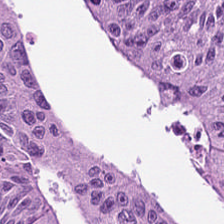Hematoxylin-and-eosin stained section; WSI patch.
Q: What does this patch show?
A: Adenocarcinoma.
